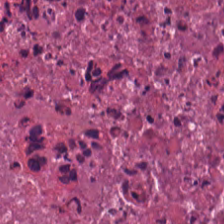20× equivalent magnification · H&E.
Finding → necrotic debris.
